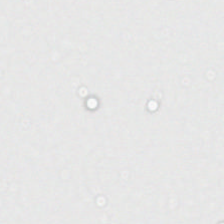224×224 px tile. H&E stain.
Impression — background.
